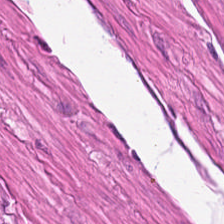Tissue: smooth muscle.
